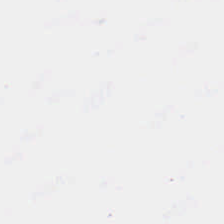224×224 px patch · H&E stain.
No tissue present; background only.
